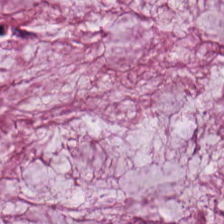This field is mucus.
